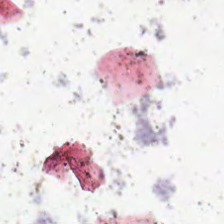Formalin-fixed paraffin-embedded section. Hematoxylin-and-eosin stained section. Content — background.
